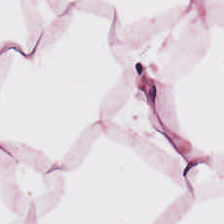H&E — {"tissue_type": "fat tissue"}
